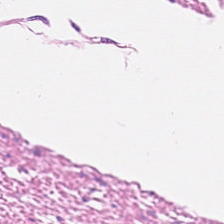Q: What type of tissue is this?
A: This is muscularis.
